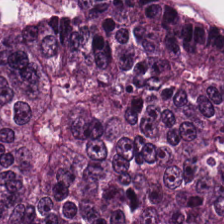H&E-stained tissue section.
The tissue here is adenocarcinoma.
